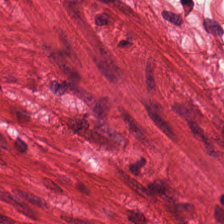Stain: hematoxylin-and-eosin stained section.
Acquisition: brightfield microscopy.
Classification: smooth muscle.
